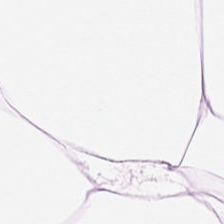20× equivalent magnification; formalin-fixed paraffin-embedded section; H&E stain — Tissue class: fat tissue.
